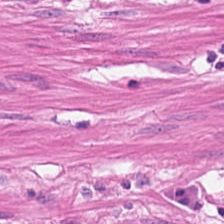224×224 pixel tile. Hematoxylin and eosin — Classification = smooth-muscle tissue.
